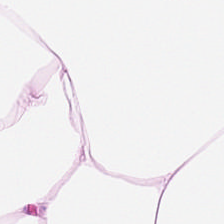H&E — Q: What tissue type is shown here?
A: It is adipose tissue.
